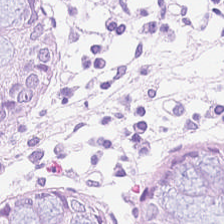H&E-stained tissue section.
The predominant tissue is benign colonic mucosa.
